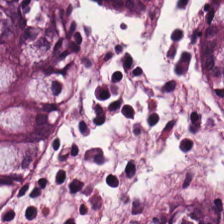Hematoxylin and eosin. This patch shows benign colonic mucosa.
